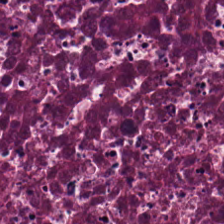224×224 px patch · H&E.
Q: What tissue type is shown here?
A: The field shows debris.
